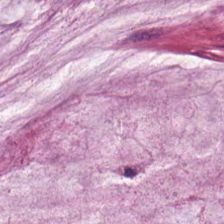Hematoxylin-and-eosin stained section.
Mucus.
